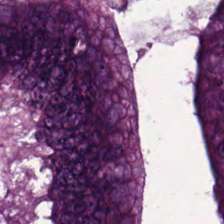H&E stain. 0.5 µm/px. 224×224 px tile. Tissue: colorectal adenocarcinoma.
